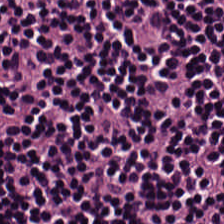H&E stain.
Showing lymphoid infiltrate.
